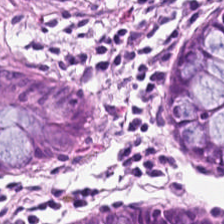H&E-stained tissue section.
Predominantly normal colonic mucosa.
